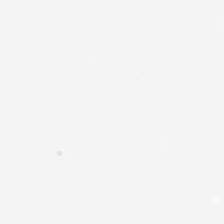H&E stain.
Finding → no tissue.
